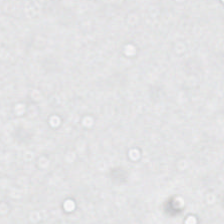Hematoxylin and eosin. FFPE. Whole-slide-image patch.
Content: background.
